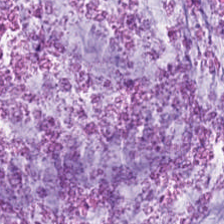Hematoxylin-and-eosin stained section. Q: What is shown here?
A: The field shows mucus.
